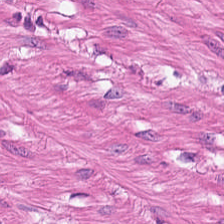Hematoxylin and eosin.
The classification is muscularis.
